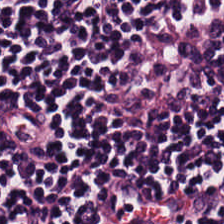Hematoxylin and eosin. Histology — lymphocytes.
